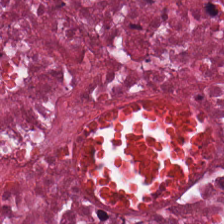Q: What tissue type is shown here?
A: The field shows cellular debris.
